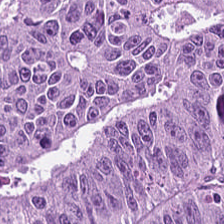H&E-stained tissue section. The predominant tissue is colorectal adenocarcinoma epithelium.
